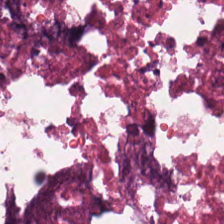Brightfield; hematoxylin and eosin.
The tissue class is cellular debris.
